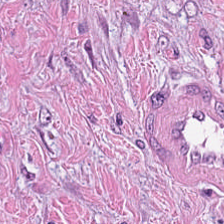Predominant tissue: tumor-associated stroma.
